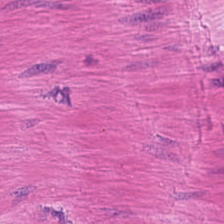Tissue — smooth-muscle tissue.
